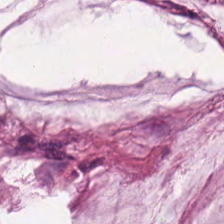Hematoxylin and eosin · FFPE.
The tissue type is extracellular mucin.
